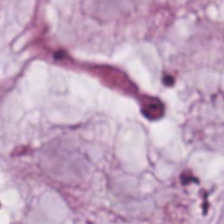Tissue class — extracellular mucin.
